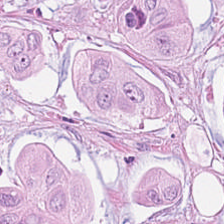224×224 px tile · 0.5 microns per pixel · H&E stain.
Finding → adenocarcinoma.
